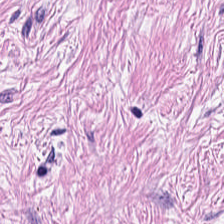H&E-stained tissue section; 0.5 microns per pixel; 224×224 px patch — Predominantly tumor-associated stroma.
